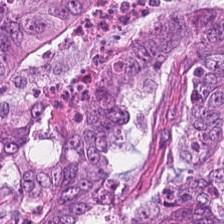Stain: H&E stain.
Tissue class: tumor epithelium.
